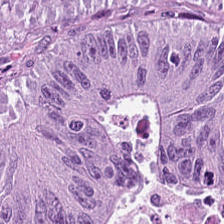Hematoxylin and eosin. FFPE tissue section — This patch shows colorectal adenocarcinoma epithelium.
